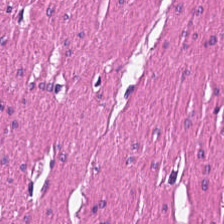H&E-stained tissue section. Brightfield microscopy. 0.5 µm per pixel.
Predominant tissue — muscularis.
